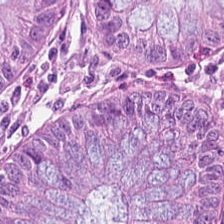224×224 pixel tile · H&E · 20× equivalent magnification — Predominant tissue = normal colonic mucosa.
